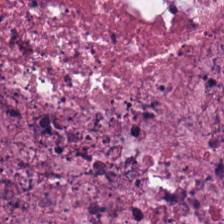224×224 px tile · hematoxylin and eosin.
Q: What tissue type is shown here?
A: Cellular debris.
